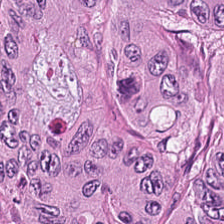H&E — Tissue type = adenocarcinoma.
